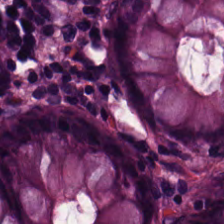Stain: H&E stain.
Acquisition: whole-slide-image patch.
Predominant tissue: benign colonic mucosa.
